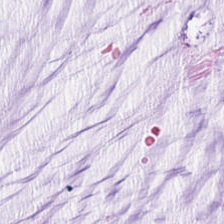Q: What type of tissue is this?
A: It is mucin.
